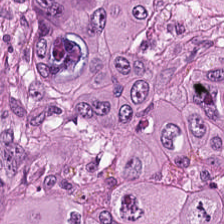H&E stain; whole-slide-image patch.
This patch shows malignant epithelium.
